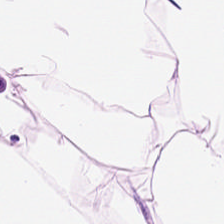Q: What is shown in this field?
A: This is adipocytes.
